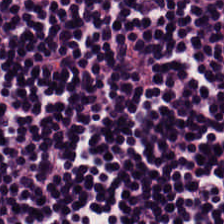Hematoxylin and eosin. {"tissue_type": "lymphoid infiltrate"}
